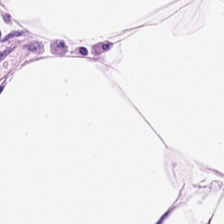Stain: H&E-stained tissue section.
Preparation: FFPE tissue section.
Predominant tissue: fat tissue.
